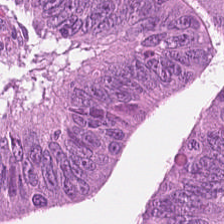Hematoxylin and eosin. Formalin-fixed paraffin-embedded section. {"tissue_type": "tumor epithelium"}
